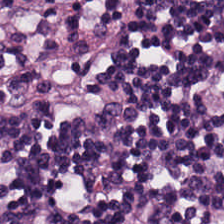Tissue type: lymphocytes.
